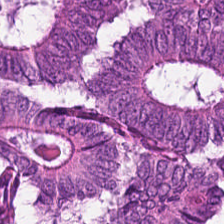Brightfield microscopy · H&E · 0.5 microns per pixel — Tissue: tumor epithelium.
